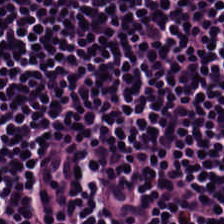The tissue is lymphocyte aggregate.
